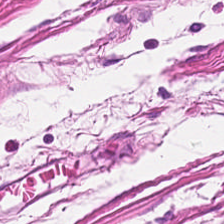Tissue class = smooth muscle.
